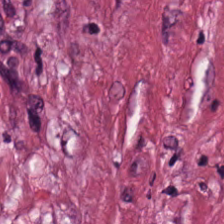Hematoxylin-and-eosin stained section. 224×224 pixel tile. 0.5 µm per pixel.
Q: What is the predominant tissue type?
A: The field shows tumor stroma.
